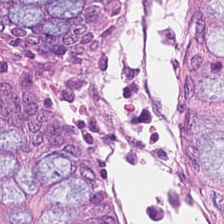H&E-stained section; the field shows benign colonic mucosa.
